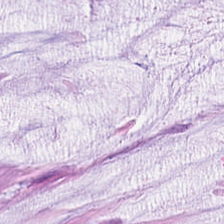Brightfield; H&E-stained tissue section; FFPE tissue section. Classification — extracellular mucin.
